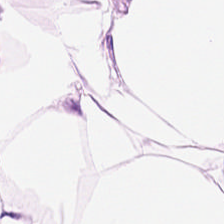H&E.
Showing adipose.
